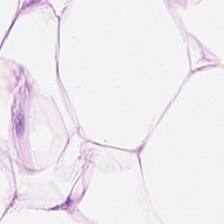WSI patch. H&E-stained tissue section. 224×224 px patch. Classification = adipose.
